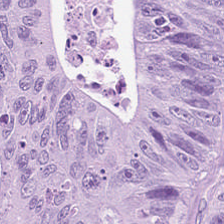Hematoxylin and eosin. Finding → adenocarcinoma.
